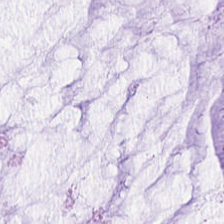H&E.
The predominant tissue is mucin.
